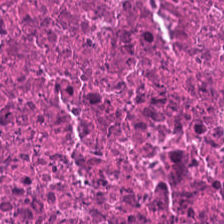Formalin-fixed paraffin-embedded section; hematoxylin-and-eosin stained section.
This field is necrotic debris.
